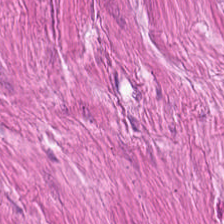Hematoxylin-and-eosin stained section. Brightfield. 0.5 µm per pixel. The classification is smooth muscle.
